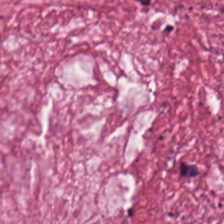H&E-stained tissue section. {"tissue_type": "desmoplastic stroma"}
